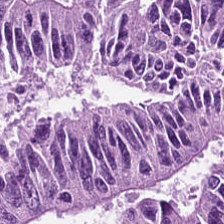Brightfield microscopy · H&E-stained tissue section — Predominantly colorectal adenocarcinoma.
